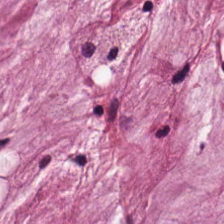Hematoxylin and eosin. This field is mucin.
